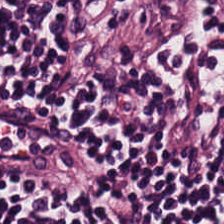Q: Identify the tissue.
A: Lymphocyte aggregate.
